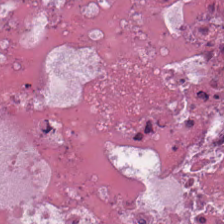H&E stain.
The predominant tissue is cellular debris.
